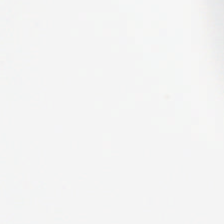Formalin-fixed paraffin-embedded section. Hematoxylin and eosin.
Classification — background.
